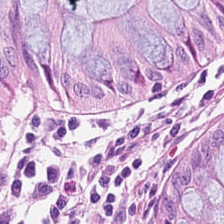Hematoxylin and eosin; 0.5 microns per pixel. This field is normal colon mucosa.
